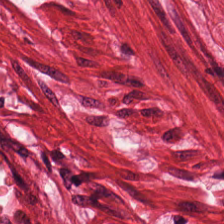Brightfield microscopy · H&E stain — Showing smooth-muscle tissue.
